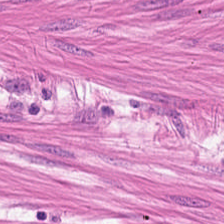H&E stain — Q: Classify this patch.
A: The field shows smooth muscle.
